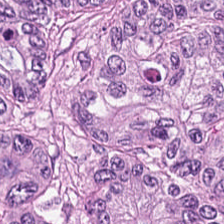Predominant tissue = adenocarcinoma.
